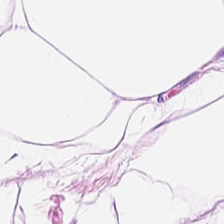Finding → adipose tissue.
